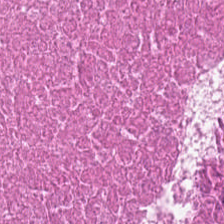WSI patch; hematoxylin-and-eosin stained section. Predominant tissue = cellular debris.
